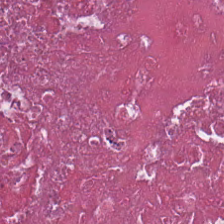Stain: hematoxylin and eosin.
Tissue type: debris.
